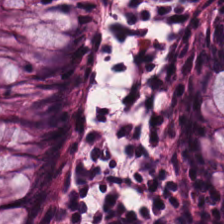FFPE · H&E stain.
Classification: non-neoplastic colon mucosa.
